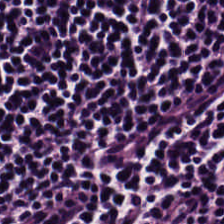Hematoxylin-and-eosin stained section.
This field is lymphoid infiltrate.
